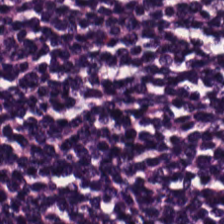Stain: hematoxylin-and-eosin stained section.
Tissue type: lymphoid infiltrate.
